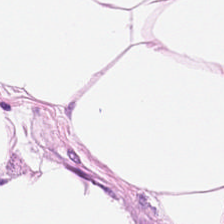20× equivalent magnification; H&E-stained tissue section — The predominant tissue is adipocytes.
